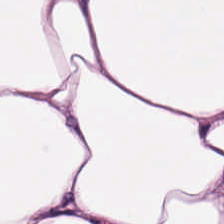Hematoxylin-and-eosin stained section. Showing fat tissue.
